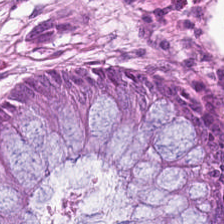H&E stain. The predominant tissue is normal colon mucosa.
